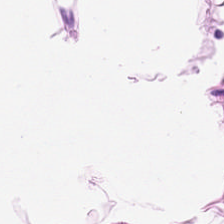Stain: H&E.
Tissue class: adipose.
